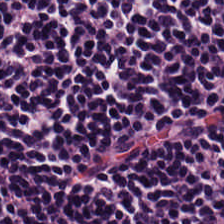Classification: lymphocytes.
